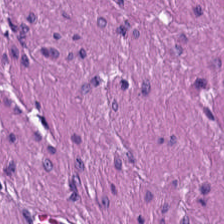Hematoxylin-and-eosin section: smooth muscle.
